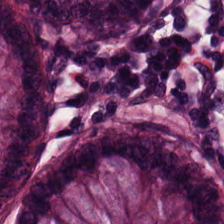H&E stain. Normal colon mucosa.
